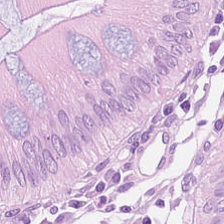224×224 pixel tile. H&E-stained tissue section. Finding → normal colon mucosa.
